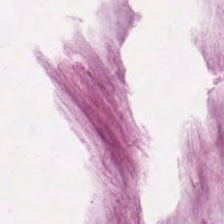Hematoxylin-and-eosin stained section. Classification: mucus.
